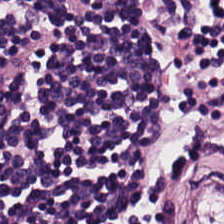WSI patch · formalin-fixed paraffin-embedded section · hematoxylin and eosin — Predominantly lymphocytic infiltrate.
